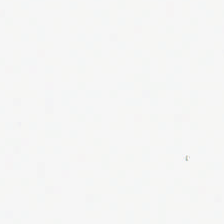Hematoxylin-and-eosin stained section · 20× equivalent magnification — Background — no tissue in this field.
